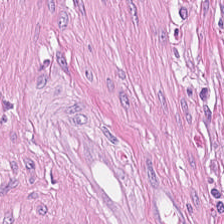Q: What is the predominant tissue type?
A: It is cancer-associated stroma.
